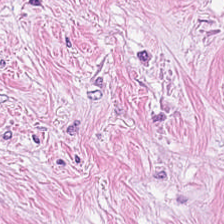H&E — This patch shows tumor-associated stroma.
